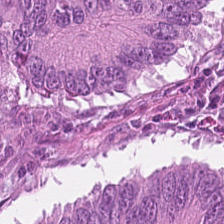Hematoxylin-and-eosin stained section. This field is adenocarcinoma.
